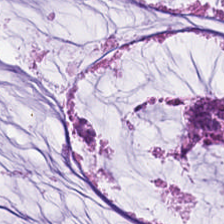This patch shows extracellular mucin.
